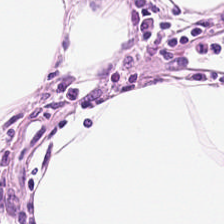H&E-stained tissue section — Tissue class: adipose.
